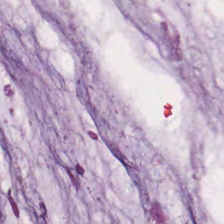The tissue type is extracellular mucin.
